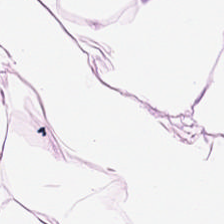H&E-stained tissue section. Showing adipose tissue.
